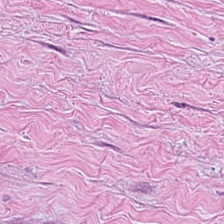H&E stain.
Tissue class: tumor stroma.
